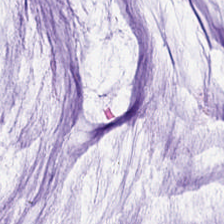H&E · 0.5 µm per pixel. {"tissue_type": "mucus"}
